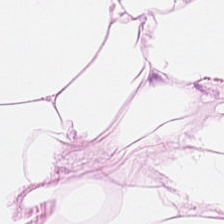Hematoxylin-and-eosin section: fat tissue.
